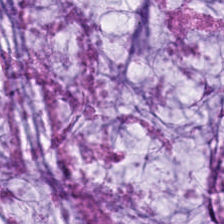Hematoxylin and eosin. Q: What type of tissue is this?
A: Mucus.
